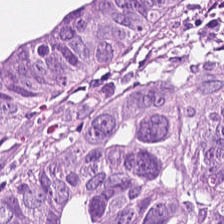Stain: hematoxylin-and-eosin stained section.
Tissue type: adenocarcinoma.
